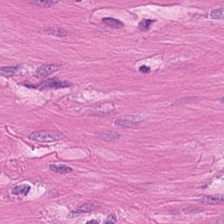Stain: H&E stain.
Tissue class: smooth-muscle tissue.
